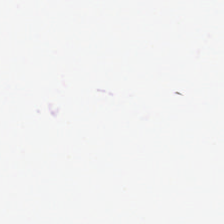Hematoxylin-and-eosin stained section · 224×224 pixel tile · formalin-fixed paraffin-embedded section.
Empty background.
